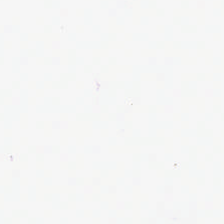Stain: hematoxylin-and-eosin stained section.
Acquisition: brightfield microscopy.
Content: background (no tissue).
